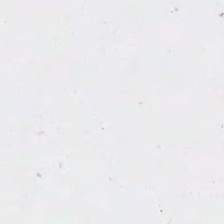Q: What is shown here?
A: It is empty background.
